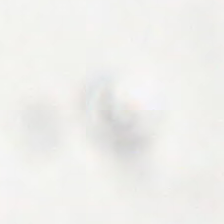H&E stain · 224×224 px patch · 0.5 microns per pixel. Q: What is shown in this field?
A: This is empty background.
